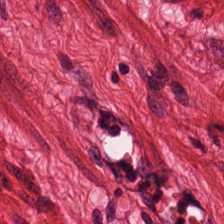Tissue class = smooth-muscle tissue.
